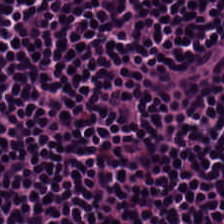Q: What tissue is shown?
A: The field shows lymphocytic infiltrate.
